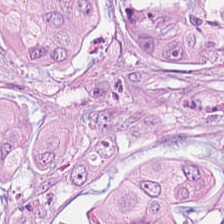Showing colorectal adenocarcinoma epithelium.
